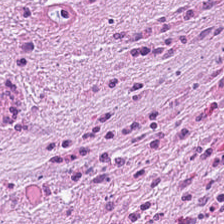Hematoxylin and eosin — Desmoplastic stroma.
